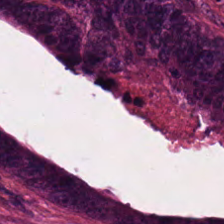Stain: H&E.
Tissue class: tumor epithelium.
